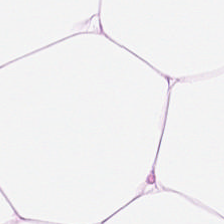Hematoxylin and eosin.
Classification: adipose tissue.
